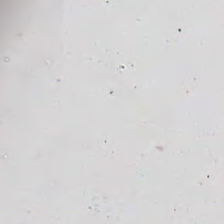H&E-stained tissue section; WSI patch; 224×224 pixel tile. The content is background.
